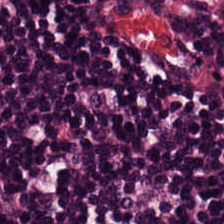Hematoxylin and eosin · 224×224 px tile — Predominant tissue — lymphocyte aggregate.
